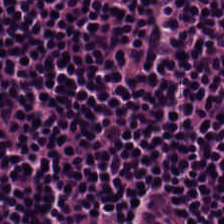0.5 microns per pixel · H&E stain · formalin-fixed paraffin-embedded section — Finding — lymphocytes.
